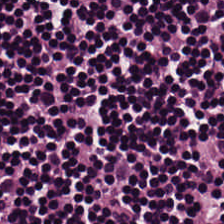H&E-stained tissue section — Classification — lymphocytic infiltrate.
